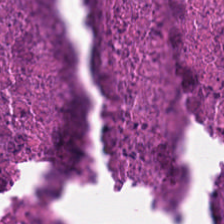Classification: necrotic debris.
